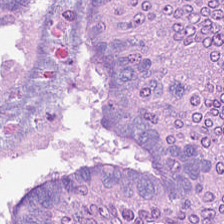Hematoxylin and eosin · brightfield microscopy. Colorectal adenocarcinoma.
